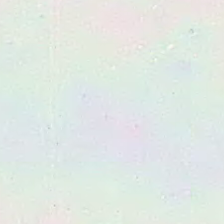224×224 px tile. WSI patch. Hematoxylin-and-eosin stained section.
This field is background (no tissue).
